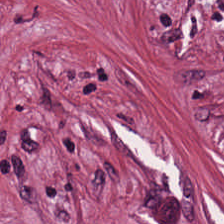Stain: hematoxylin and eosin.
Classification: tumor-associated stroma.
